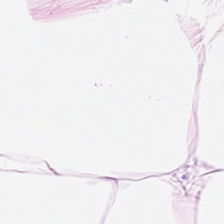224×224 pixel tile · H&E stain. The predominant tissue is adipocytes.
